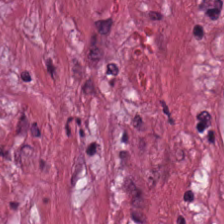224×224 px tile. H&E-stained tissue section. FFPE tissue section — Showing tumor stroma.
